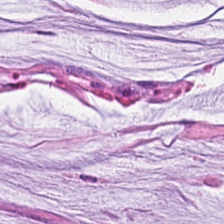224×224 pixel tile; hematoxylin and eosin; FFPE tissue section.
Tissue class: mucin.
